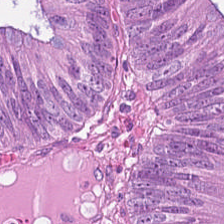H&E. 0.5 microns per pixel. Q: What does this patch show?
A: This is colorectal adenocarcinoma epithelium.
